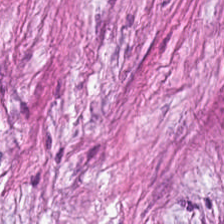H&E-stained section; the field shows tumor stroma.
